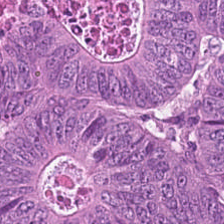224×224 px tile · hematoxylin-and-eosin stained section — This field is adenocarcinoma.
